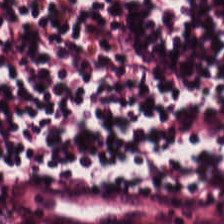{"tissue_type": "lymphocytic infiltrate"}
